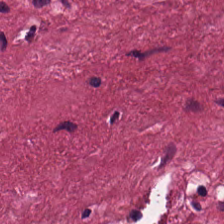H&E-stained tissue section.
Q: What does this patch show?
A: The field shows cancer-associated stroma.
